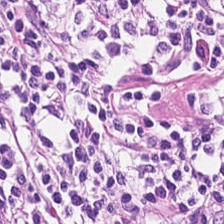H&E — Showing lymphocyte aggregate.
